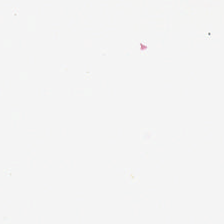H&E stain · brightfield · 0.5 µm/px.
Background — no tissue in this field.
